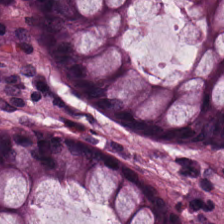224×224 pixel tile · hematoxylin-and-eosin stained section. Q: What type of tissue is this?
A: This is normal colon mucosa.
